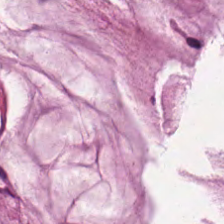Hematoxylin and eosin. 224×224 pixel tile.
This patch shows mucin.
